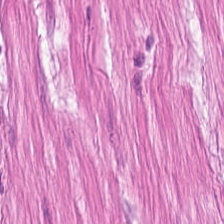Impression → smooth muscle.
